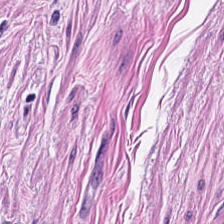Stain: H&E.
Preparation: FFPE.
Predominant tissue: muscularis.
